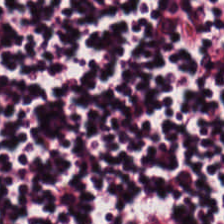H&E. 224×224 pixel tile.
This patch shows lymphocytic infiltrate.
